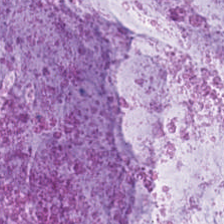Tissue type — extracellular mucin.
